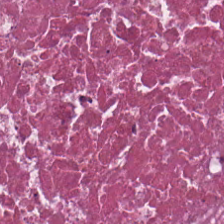H&E — cellular debris.
